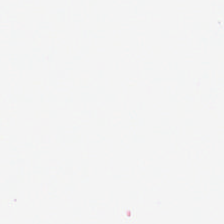The classification is background (no tissue).
